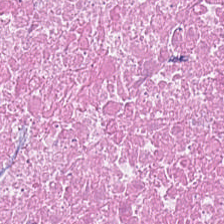H&E-stained tissue section — Tissue type — cellular debris.
